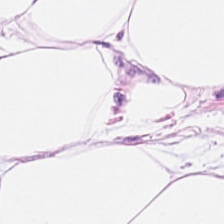Stain: H&E.
Tissue: adipocytes.
